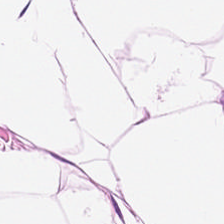224×224 pixel tile. FFPE. Hematoxylin and eosin. Adipose tissue.
